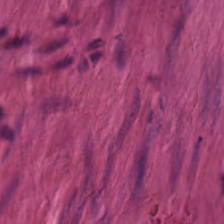224×224 px tile · H&E · FFPE. This patch shows muscularis.
